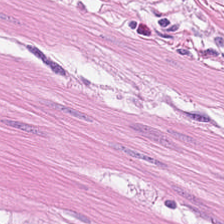H&E stain — {"tissue_type": "smooth muscle"}
